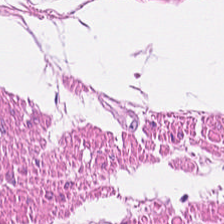20× equivalent magnification. Hematoxylin-and-eosin stained section — Predominant tissue = smooth-muscle tissue.
